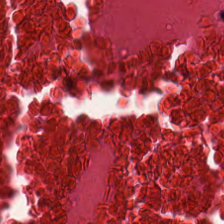H&E-stained tissue section. 224×224 px patch. 0.5 microns per pixel.
Histology — debris.
